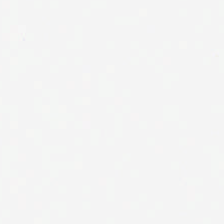Field content: no tissue.
